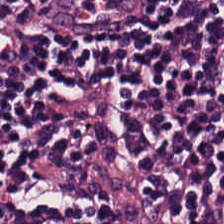H&E stain.
Tissue: lymphocytes.
